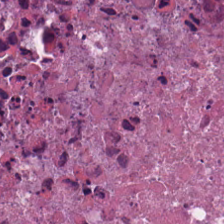Hematoxylin and eosin. 224×224 px tile — Predominantly debris.
